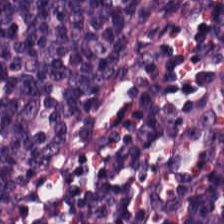The tissue is lymphocytic infiltrate.
